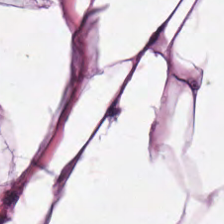Stain: H&E stain.
Predominant tissue: adipose tissue.
